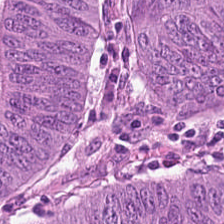Hematoxylin and eosin; brightfield microscopy. Showing adenocarcinoma.
